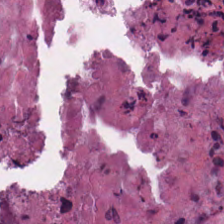20× equivalent magnification · FFPE tissue section · hematoxylin-and-eosin stained section — Histology — necrotic debris.
